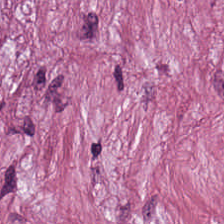H&E stain. Tissue: tumor stroma.
